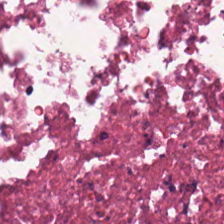Tissue = cellular debris.
